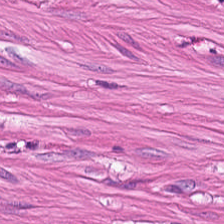Stain: H&E stain.
Preparation: formalin-fixed paraffin-embedded section.
Tile size: 224×224 px patch.
Classification: smooth muscle.
